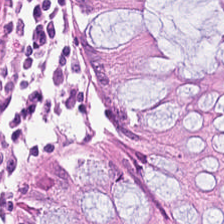H&E-stained tissue section. Q: Classify this patch.
A: This is normal colon mucosa.
